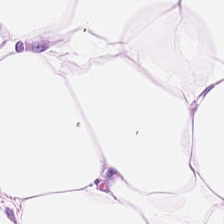H&E stain. Predominant tissue — adipose.
